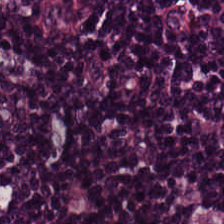Finding → lymphoid infiltrate.
